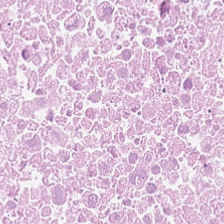H&E-stained tissue section.
Q: What is the predominant tissue type?
A: It is cellular debris.
